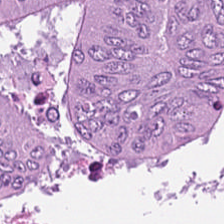This patch shows adenocarcinoma.
